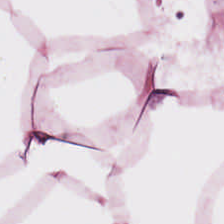Hematoxylin and eosin. Formalin-fixed paraffin-embedded section. This patch shows adipocytes.
